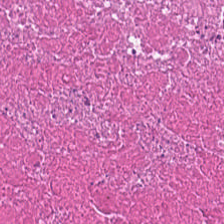WSI patch · hematoxylin and eosin.
Predominant tissue: cellular debris.
